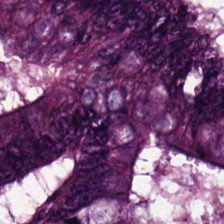The predominant tissue is malignant epithelium.
